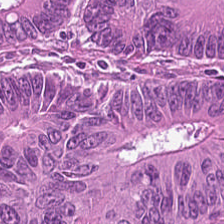H&E stain · whole-slide-image patch — Q: What is the predominant tissue type?
A: This is colorectal adenocarcinoma.
